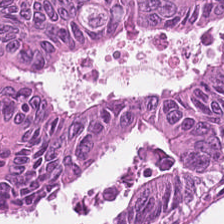H&E stain. Brightfield.
Tumor epithelium.
